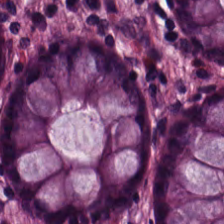Stain: hematoxylin-and-eosin stained section.
Tissue: normal colon mucosa.
